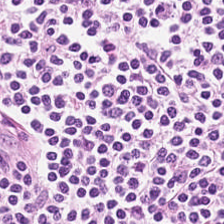H&E. Formalin-fixed paraffin-embedded section. 224×224 px patch — Finding — lymphoid infiltrate.
